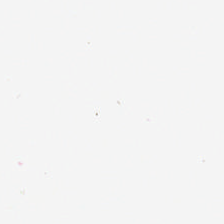Hematoxylin-and-eosin stained section; formalin-fixed paraffin-embedded section — Q: What does this patch show?
A: It is no tissue.
